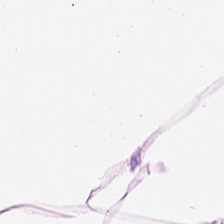H&E stain — Q: What is shown in this field?
A: It is fat tissue.
